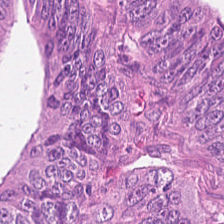H&E — Q: What does this patch show?
A: It is malignant epithelium.
